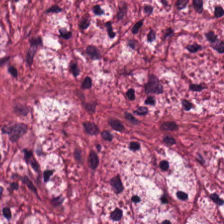The predominant tissue is desmoplastic stroma.
